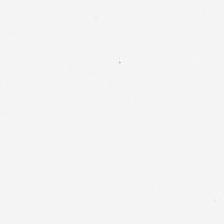H&E-stained tissue section · brightfield microscopy · 0.5 µm/px — Q: What does this patch show?
A: The field shows empty background.
